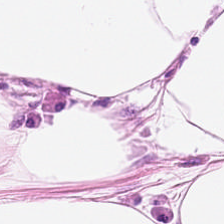Predominantly adipose tissue.
